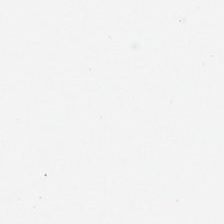Hematoxylin-and-eosin stained section. Q: What does this patch show?
A: It is background.
